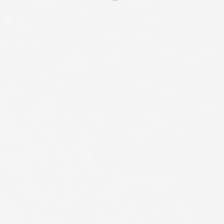Empty background.
